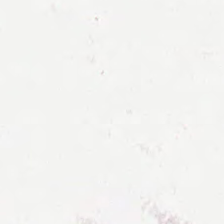H&E stain. Q: Classify this patch.
A: Background.
